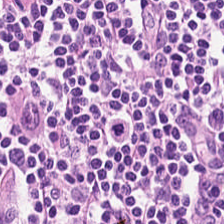Q: What type of tissue is this?
A: Lymphoid infiltrate.
